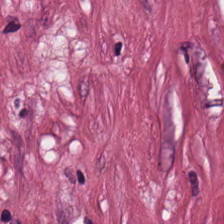H&E-stained tissue section.
Finding → desmoplastic stroma.
